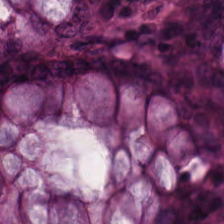Hematoxylin and eosin · 20× equivalent magnification · whole-slide-image patch.
Classification = normal colon mucosa.
